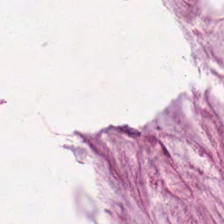Tissue type: extracellular mucin.
